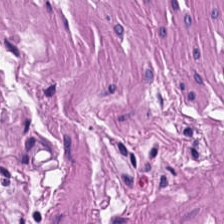This patch shows muscularis.
